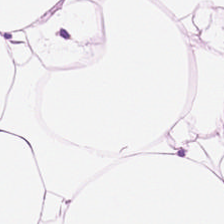Hematoxylin and eosin · formalin-fixed paraffin-embedded section.
Histology → adipose tissue.
